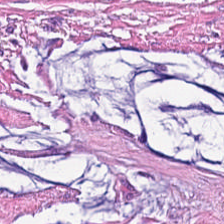Tissue class — tumor stroma.
